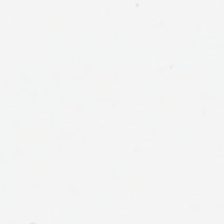H&E.
{"content": "background"}
